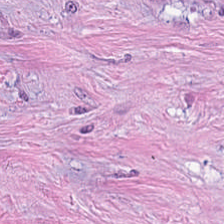Hematoxylin-and-eosin stained section — Q: What tissue is shown?
A: This is desmoplastic stroma.
